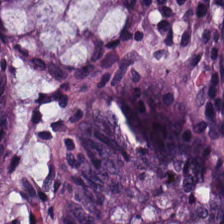H&E. Q: Classify this patch.
A: Normal colonic mucosa.
